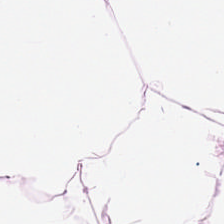H&E. The tissue here is adipose.
